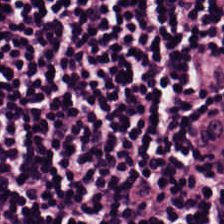WSI patch · H&E — Predominantly lymphocytic infiltrate.
